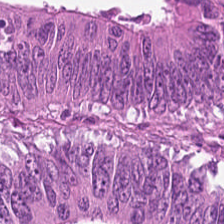Stain: H&E.
Resolution: 0.5 µm/px.
Acquisition: brightfield microscopy.
Tissue class: tumor epithelium.
